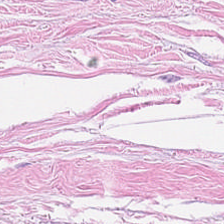0.5 µm/px · H&E stain — The tissue here is tumor-associated stroma.
